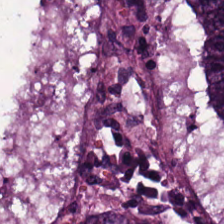H&E stain · brightfield.
Q: What tissue is shown?
A: The field shows tumor epithelium.
